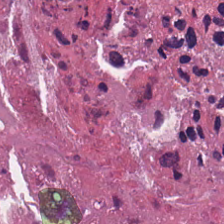H&E.
Finding → necrotic debris.
